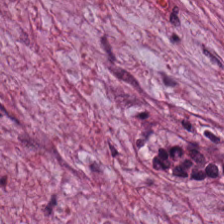FFPE tissue section; H&E stain. The predominant tissue is tumor-associated stroma.
